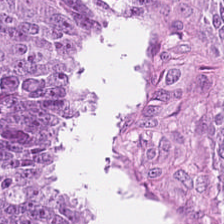Hematoxylin-and-eosin stained section.
Tissue — malignant epithelium.
